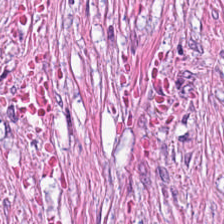Hematoxylin-and-eosin stained section; WSI patch. Predominantly cancer-associated stroma.
